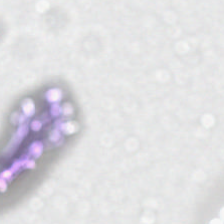Hematoxylin and eosin. Whole-slide-image patch. This patch shows background.
